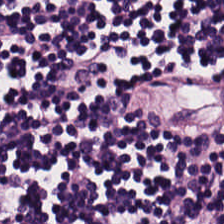Hematoxylin-and-eosin stained section. FFPE. The predominant tissue is lymphocytes.
